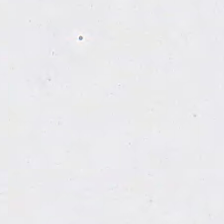Hematoxylin and eosin · 224×224 px tile. Histology → background (no tissue).
